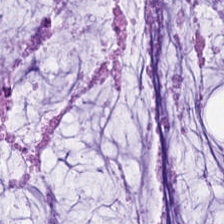Hematoxylin and eosin · 224×224 pixel tile · 0.5 µm per pixel. Classification = mucin.
